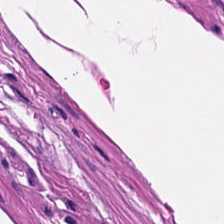H&E — smooth muscle.
